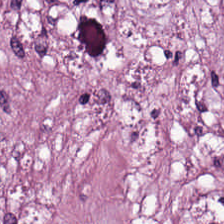The predominant tissue is cancer-associated stroma.
